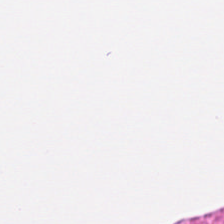Q: Classify this patch.
A: It is smooth-muscle tissue.
